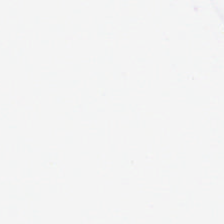Hematoxylin and eosin · 224×224 px patch · 0.5 microns per pixel.
Impression → background (no tissue).
